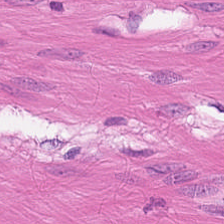Stain: H&E.
Tissue: muscularis.
